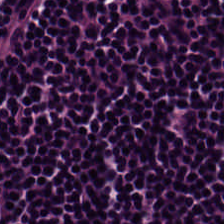H&E-stained tissue section.
Predominant tissue — lymphocytic infiltrate.
